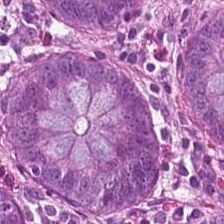Hematoxylin and eosin; brightfield. Q: What is the predominant tissue type?
A: Benign colonic mucosa.
